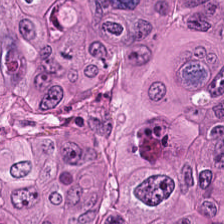224×224 pixel tile · formalin-fixed paraffin-embedded section · H&E-stained tissue section — Tissue type — adenocarcinoma.
